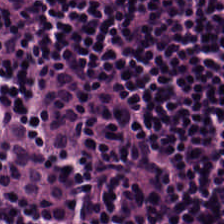Stain: H&E-stained tissue section.
Classification: lymphocytic infiltrate.
